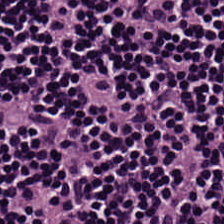The classification is lymphocytic infiltrate.
